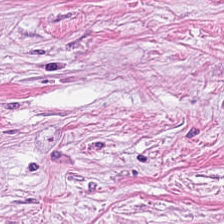Whole-slide-image patch · hematoxylin and eosin · 0.5 microns per pixel.
Q: Identify the tissue.
A: It is tumor stroma.
